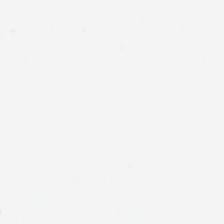Hematoxylin and eosin; 20× equivalent magnification — Q: What is shown here?
A: It is no tissue.
